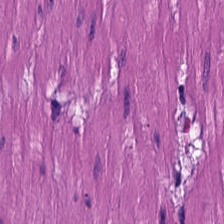H&E · 224×224 px tile · formalin-fixed paraffin-embedded section.
Smooth-muscle tissue.
